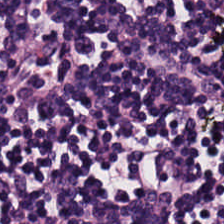H&E-stained tissue section — Finding → lymphocyte aggregate.
